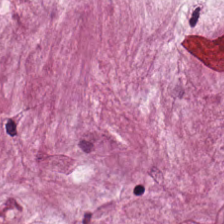20× equivalent magnification. H&E.
Predominantly mucin.
